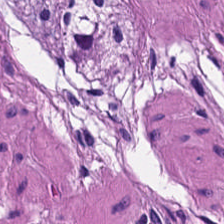Stain: H&E-stained tissue section.
Preparation: FFPE tissue section.
Classification: smooth muscle.
